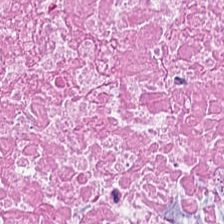Q: What tissue is shown?
A: The field shows necrotic debris.
